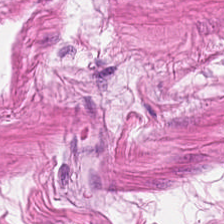H&E-stained tissue section. Finding — muscularis.
